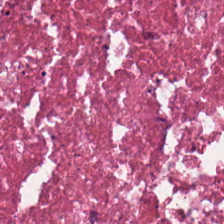H&E stain. The predominant tissue is necrotic debris.
